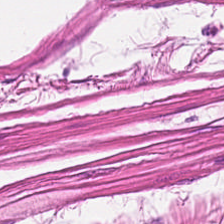Hematoxylin and eosin — {"tissue_type": "smooth muscle"}
